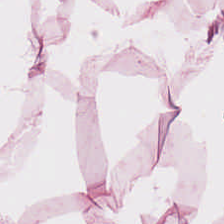Formalin-fixed paraffin-embedded section; H&E stain.
Q: What tissue type is shown here?
A: The field shows fat tissue.
